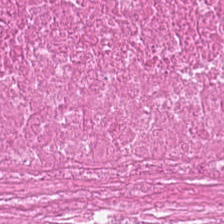Hematoxylin-and-eosin stained section. The classification is necrotic debris.
